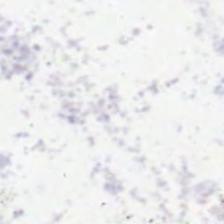H&E stain. Finding — empty background.
